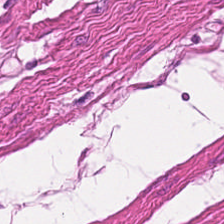H&E stain. Showing smooth muscle.
